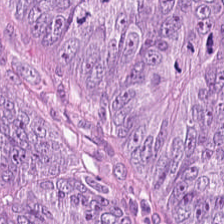H&E-stained tissue section; brightfield — The tissue type is adenocarcinoma.
